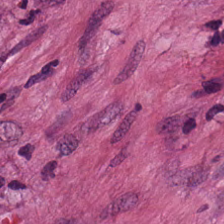Tissue — tumor stroma.
